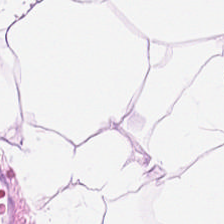Whole-slide-image patch; hematoxylin and eosin.
This patch shows adipose.
